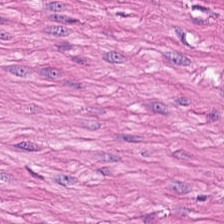H&E. 0.5 µm/px. Showing smooth-muscle tissue.
